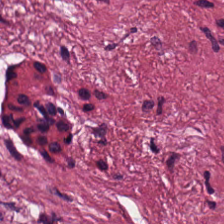H&E. 20× equivalent magnification — Showing cancer-associated stroma.
